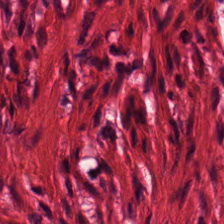H&E-stained tissue section showing muscularis.
